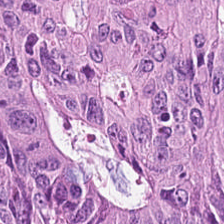Hematoxylin and eosin. This patch shows tumor epithelium.
